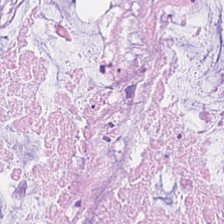Stain: H&E-stained tissue section.
Tissue type: mucus.
